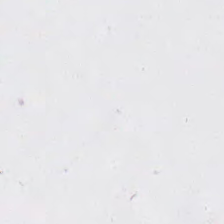H&E; FFPE tissue section.
Impression → background.
